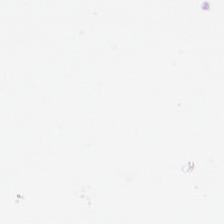Hematoxylin-and-eosin stained section. Background.
